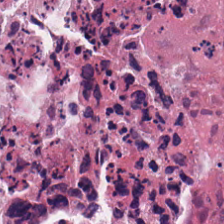Stain: hematoxylin-and-eosin stained section.
Classification: debris.
